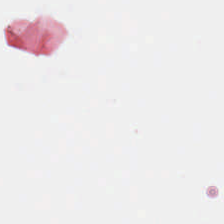This patch shows empty background.
